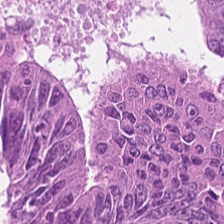{"tissue_type": "malignant epithelium"}
